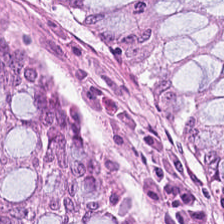Normal colon mucosa.
